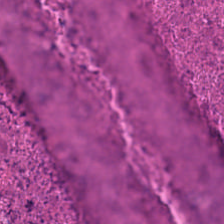The tissue type is necrotic debris.
